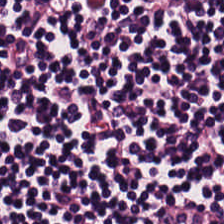Hematoxylin-and-eosin stained section. 0.5 microns per pixel. The classification is lymphocytic infiltrate.
